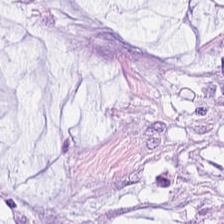Brightfield · hematoxylin-and-eosin stained section.
Showing mucus.
